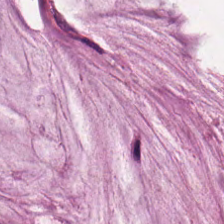H&E stain — Showing mucus.
